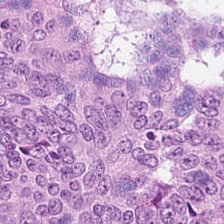Hematoxylin-and-eosin stained section. Showing colorectal adenocarcinoma epithelium.
